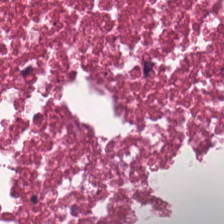This field is necrotic debris.
